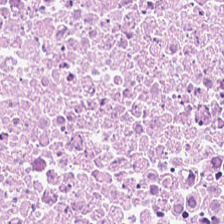H&E stain — Predominantly necrotic debris.
